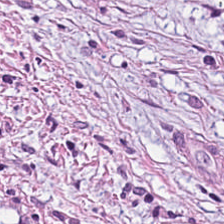FFPE tissue section; H&E; 0.5 microns per pixel.
The classification is cancer-associated stroma.
